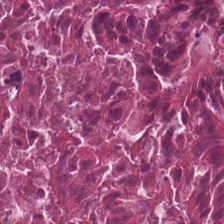Stain: H&E-stained tissue section.
Tissue class: debris.
